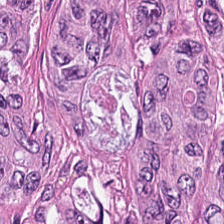The predominant tissue is adenocarcinoma.
